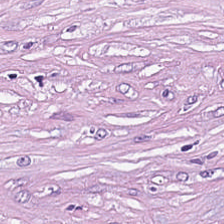Hematoxylin-and-eosin stained section.
Q: What tissue type is shown here?
A: The field shows tumor stroma.
